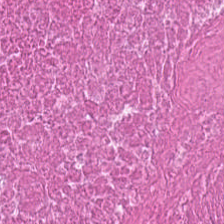H&E-stained tissue section — Q: What is shown in this field?
A: This is cellular debris.
